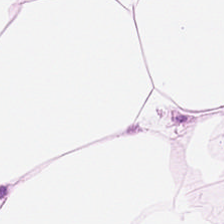H&E-stained tissue section — Showing fat tissue.
